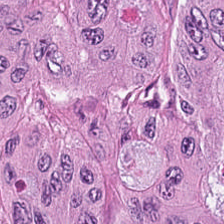Stain: H&E.
Acquisition: brightfield microscopy.
Predominant tissue: adenocarcinoma.
